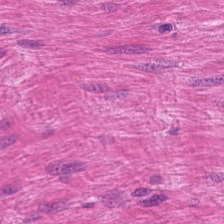H&E stain. Showing muscularis.
